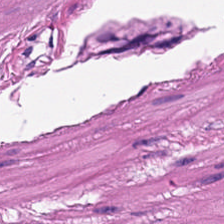Hematoxylin-and-eosin stained section; 224×224 px patch — Q: What tissue type is shown here?
A: This is smooth-muscle tissue.
